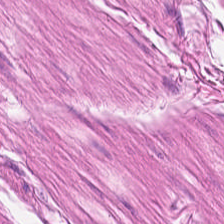Hematoxylin and eosin.
Tissue type = smooth muscle.
